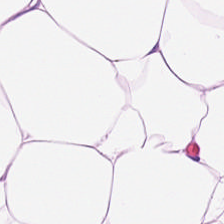H&E.
The tissue here is adipose.
